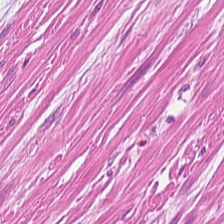Hematoxylin and eosin; FFPE. Predominant tissue = smooth-muscle tissue.
